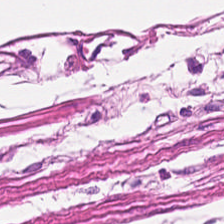Tissue: smooth muscle.
